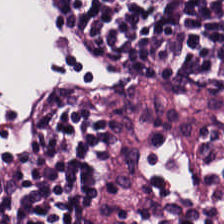Brightfield. Hematoxylin and eosin. Predominant tissue = lymphocytes.
